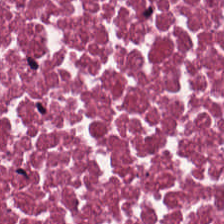The classification is cellular debris.
